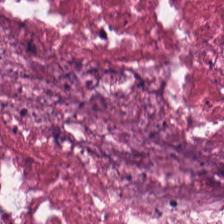Hematoxylin-and-eosin stained section — Necrotic debris.
